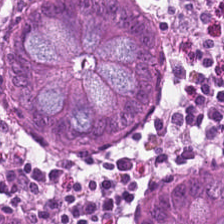224×224 px tile; hematoxylin-and-eosin stained section.
Q: What tissue is shown?
A: It is normal colon mucosa.
